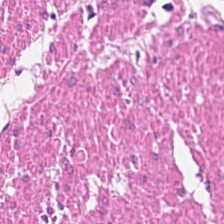Stain: hematoxylin-and-eosin stained section.
Resolution: 20× equivalent magnification.
Acquisition: brightfield.
Classification: smooth muscle.
